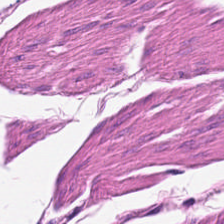H&E; 224×224 px patch.
The predominant tissue is smooth muscle.
